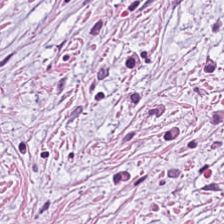H&E stain — Q: What does this patch show?
A: The field shows tumor stroma.
